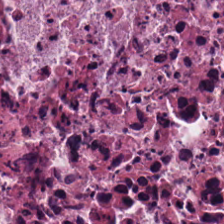Histology — necrotic debris.
